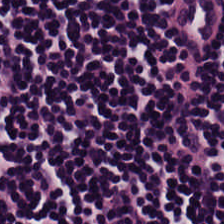Hematoxylin-and-eosin stained section · 0.5 µm per pixel. Q: Identify the tissue.
A: The field shows lymphocytic infiltrate.
